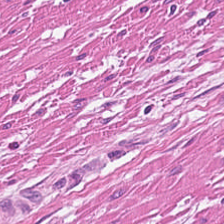H&E stain — Predominant tissue: muscularis.
